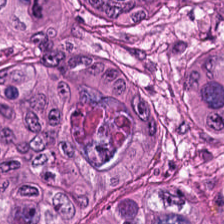Hematoxylin and eosin. WSI patch. The classification is tumor epithelium.
